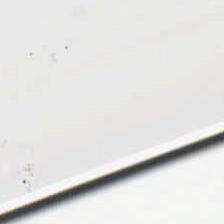Stain: hematoxylin-and-eosin stained section.
Content: empty background.
